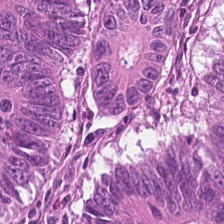Hematoxylin-and-eosin stained section · 0.5 microns per pixel · 224×224 px tile.
This field is colorectal adenocarcinoma epithelium.
